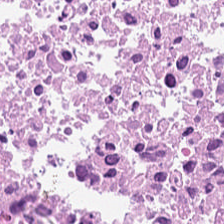H&E stain — {"tissue_type": "necrotic debris"}
